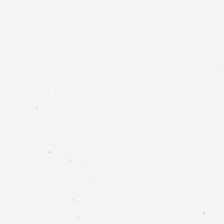224×224 pixel tile; hematoxylin and eosin; 0.5 microns per pixel. Content = background (no tissue).
